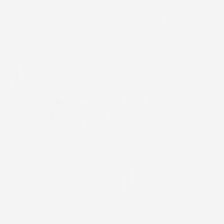H&E · formalin-fixed paraffin-embedded section — Q: Classify this patch.
A: The field shows background (no tissue).
